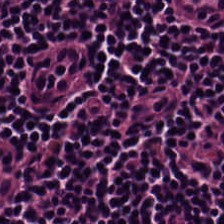Hematoxylin and eosin; whole-slide-image patch. Histology — lymphocyte aggregate.
